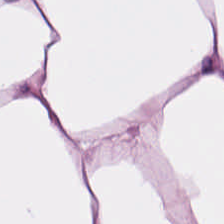Stain: hematoxylin-and-eosin stained section.
Tissue type: adipose tissue.
